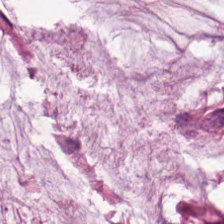H&E stain — The classification is mucin.
